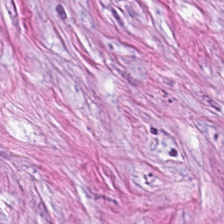H&E. Showing desmoplastic stroma.
